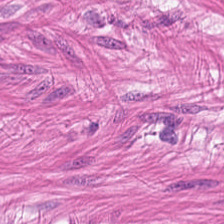H&E-stained tissue section.
Classification — smooth muscle.
